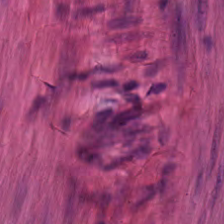224×224 px tile. Hematoxylin and eosin. WSI patch — {"tissue_type": "smooth muscle"}
